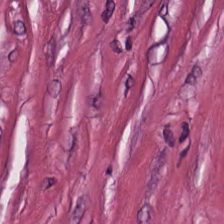H&E. Q: What tissue is shown?
A: The field shows tumor stroma.
